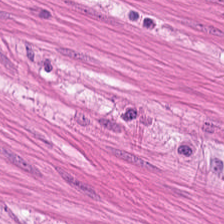0.5 microns per pixel; H&E stain.
Showing muscularis.
